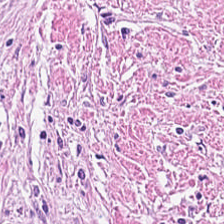Hematoxylin-and-eosin section: desmoplastic stroma.
